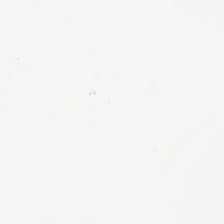224×224 px patch · hematoxylin and eosin · brightfield.
Classification — empty background.
